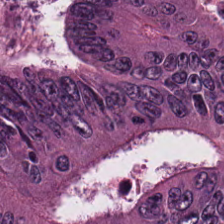Whole-slide-image patch. H&E stain — Finding — malignant epithelium.
